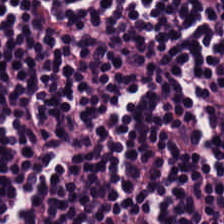H&E-stained tissue section — This patch shows lymphocytic infiltrate.
